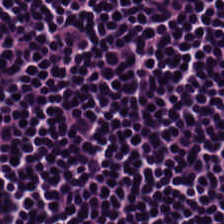0.5 µm/px. Hematoxylin and eosin. Whole-slide-image patch — The predominant tissue is lymphocytes.
